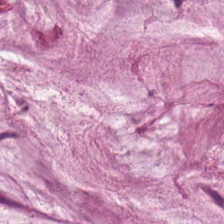Hematoxylin-and-eosin stained section. {"tissue_type": "mucus"}
